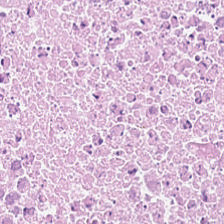Formalin-fixed paraffin-embedded section · WSI patch · H&E stain.
Tissue — debris.
